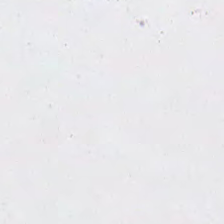224×224 px patch; H&E — Q: What is shown in this field?
A: It is empty background.
